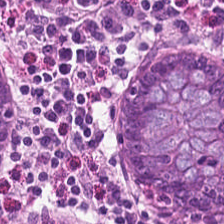Classification = non-neoplastic colon mucosa.
